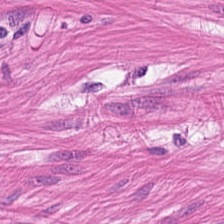Muscularis.
